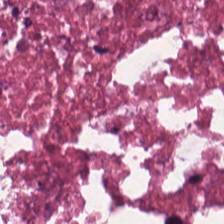H&E — Q: What tissue is shown?
A: It is debris.
